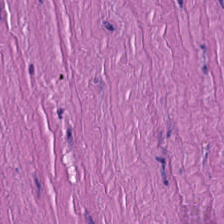Hematoxylin and eosin · brightfield microscopy.
This field is smooth-muscle tissue.
